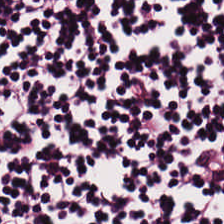H&E stain; 20× equivalent magnification — This patch shows lymphocytes.
